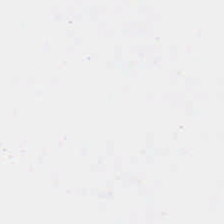This patch shows background.
